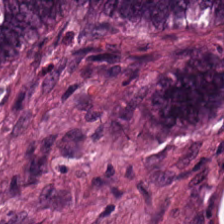Hematoxylin and eosin; 224×224 px tile. Q: What tissue type is shown here?
A: Adenocarcinoma.
